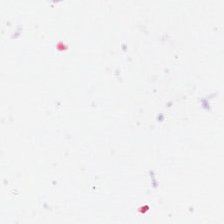H&E stain; 0.5 µm per pixel — No tissue present; background only.
